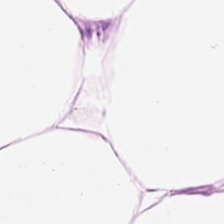H&E stain. FFPE. Predominantly adipocytes.
